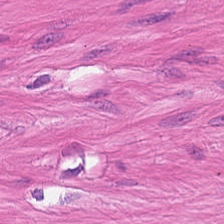Q: Classify this patch.
A: The field shows smooth muscle.
